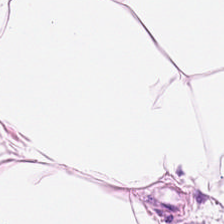H&E stain · 224×224 px patch.
This patch shows fat tissue.
